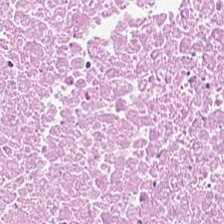FFPE · H&E. Q: Classify this patch.
A: Debris.
